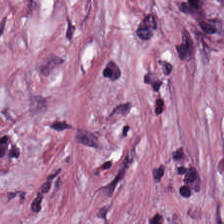H&E stain — Q: What is the predominant tissue type?
A: The field shows desmoplastic stroma.
